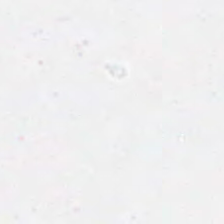No tissue present; background only.
